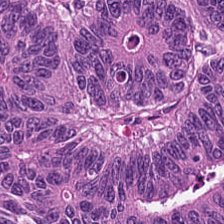Stain: H&E stain.
Tissue type: tumor epithelium.
